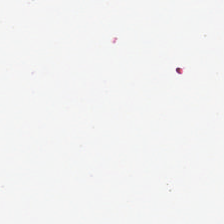Q: What does this patch show?
A: This is no tissue.
